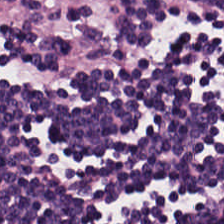H&E · 0.5 microns per pixel.
The predominant tissue is lymphocytes.
